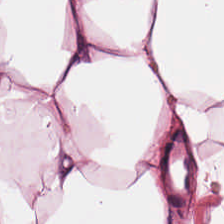Hematoxylin-and-eosin stained section · whole-slide-image patch — This field is adipose.
